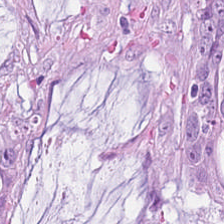Hematoxylin-and-eosin stained section.
Q: What is shown in this field?
A: It is mucin.
